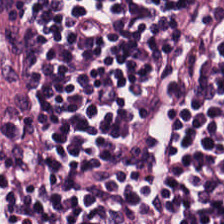H&E-stained tissue section. Q: Classify this patch.
A: This is lymphocytic infiltrate.
